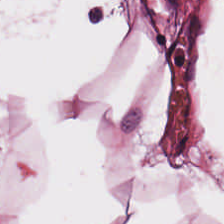H&E-stained tissue section. Q: What does this patch show?
A: It is fat tissue.
